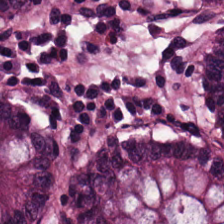H&E — benign colonic mucosa.
